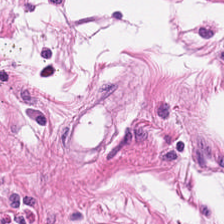H&E-stained tissue section.
The predominant tissue is smooth muscle.
